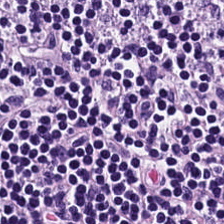The predominant tissue is lymphocytic infiltrate.
